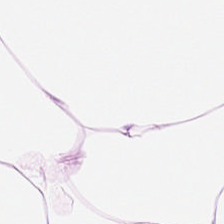Predominantly adipose.
